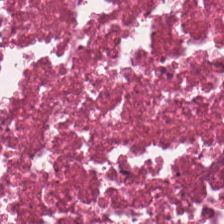H&E stain. Q: What type of tissue is this?
A: Cellular debris.
